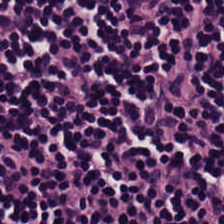Hematoxylin-and-eosin stained section.
The tissue class is lymphocyte aggregate.
